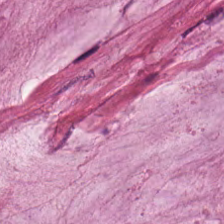224×224 px patch. H&E-stained tissue section. FFPE tissue section.
The tissue is mucus.
